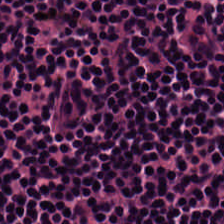Hematoxylin and eosin.
Lymphocytes.
